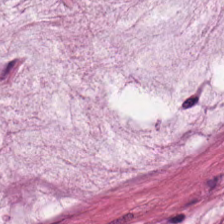Predominantly mucin.
